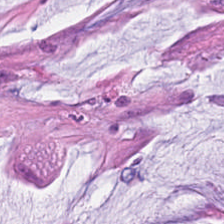WSI patch; H&E. Tissue type — mucin.
